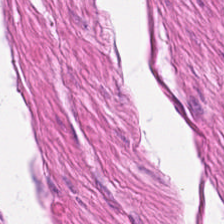H&E. Predominant tissue = smooth muscle.
